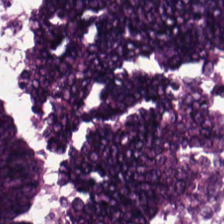Whole-slide-image patch; 0.5 microns per pixel; hematoxylin-and-eosin stained section. Showing adenocarcinoma.
